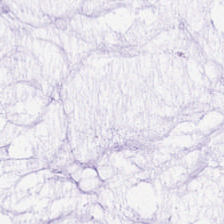H&E-stained tissue section · 224×224 px patch · FFPE tissue section — Q: What is shown in this field?
A: Extracellular mucin.
